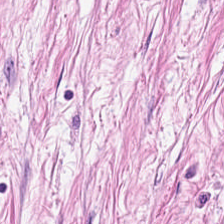224×224 pixel tile. Hematoxylin-and-eosin stained section — Predominantly cancer-associated stroma.
